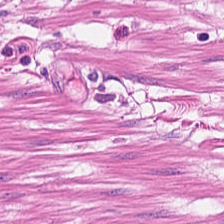Q: What is shown in this field?
A: It is muscularis.
